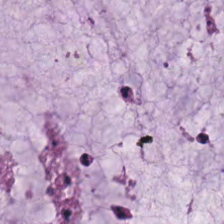H&E-stained tissue section. Tissue type: extracellular mucin.
